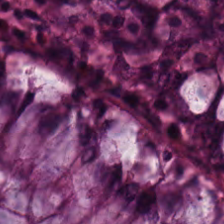H&E-stained tissue section — The classification is normal colonic mucosa.
